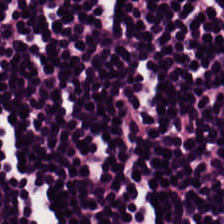Hematoxylin-and-eosin stained section — Q: What is the predominant tissue type?
A: The field shows lymphoid infiltrate.
